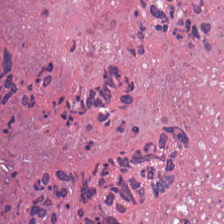H&E-stained tissue section — Tissue class = necrotic debris.
